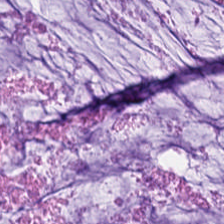Stain: H&E stain.
Predominant tissue: mucin.
